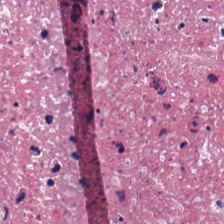FFPE tissue section · brightfield microscopy · hematoxylin-and-eosin stained section. The predominant tissue is necrotic debris.
